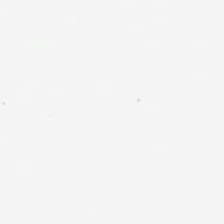H&E stain — Impression — background.
